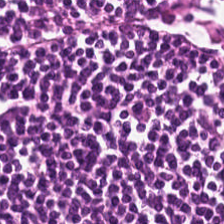H&E-stained tissue section. The classification is lymphocyte aggregate.
